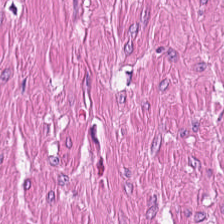Hematoxylin-and-eosin section: smooth-muscle tissue.
